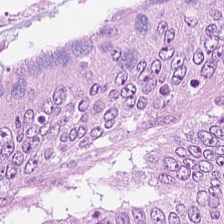Predominant tissue: colorectal adenocarcinoma.
